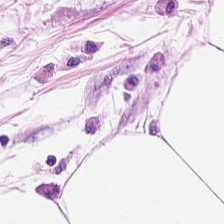Stain: H&E-stained tissue section.
Classification: adipocytes.
